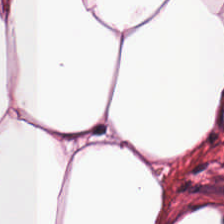Tissue class: adipose.
